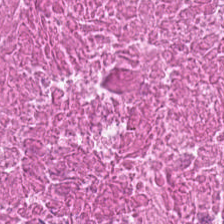Hematoxylin and eosin.
Predominantly debris.
